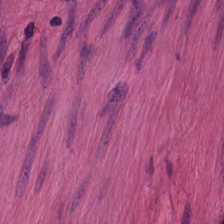Hematoxylin-and-eosin stained section.
Classification = smooth-muscle tissue.
